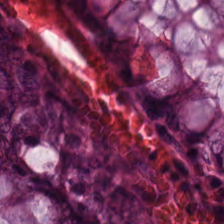224×224 pixel tile. Hematoxylin and eosin — Normal colonic mucosa.
